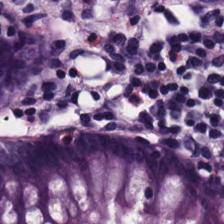H&E. Predominantly non-neoplastic colon mucosa.
